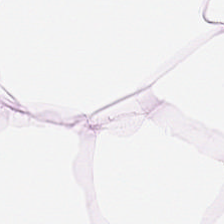H&E stain — Predominantly adipose.
